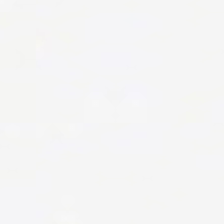Stain: H&E.
Content: no tissue.
